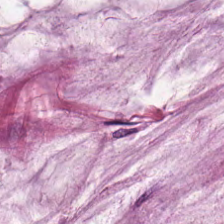Hematoxylin-and-eosin stained section · 224×224 pixel tile — The predominant tissue is mucin.
